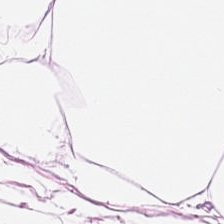Hematoxylin-and-eosin stained section.
Q: What does this patch show?
A: Adipose tissue.
